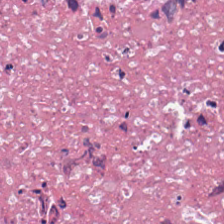H&E stain; 0.5 microns per pixel — Impression → cellular debris.
